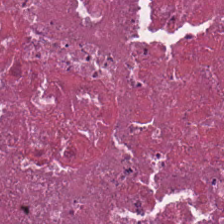Brightfield microscopy. Hematoxylin and eosin. 20× equivalent magnification. This field is debris.
